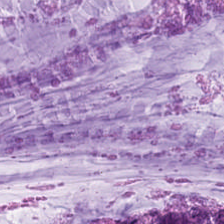Brightfield · FFPE · H&E-stained tissue section.
The tissue here is mucin.
